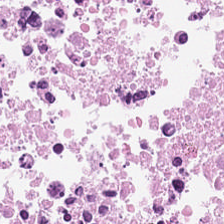H&E stain.
Predominant tissue = cellular debris.
